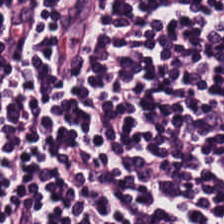H&E · WSI patch. Showing lymphoid infiltrate.
